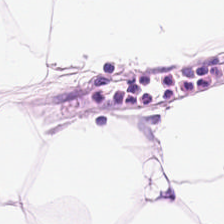H&E. FFPE tissue section. Brightfield microscopy.
Tissue type — fat tissue.
